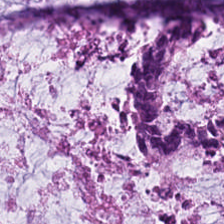Hematoxylin-and-eosin section: mucus.
